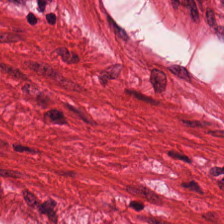H&E — Predominant tissue: smooth-muscle tissue.
